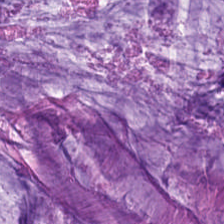224×224 px patch; hematoxylin and eosin. {"tissue_type": "mucin"}
